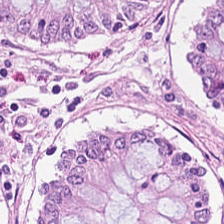0.5 µm/px · H&E.
The tissue here is non-neoplastic colon mucosa.
